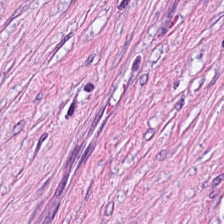H&E — The predominant tissue is cancer-associated stroma.
